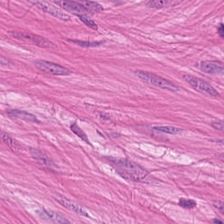The predominant tissue is muscularis.
